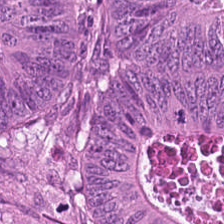H&E patch showing colorectal adenocarcinoma.
